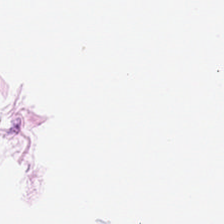The tissue type is adipocytes.
